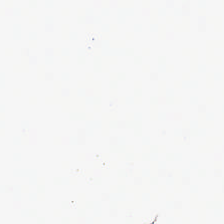Q: What is shown in this field?
A: This is no tissue.
